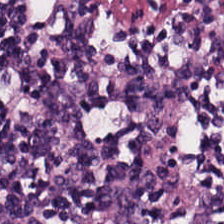H&E stain · 224×224 pixel tile. Predominantly lymphocytes.
